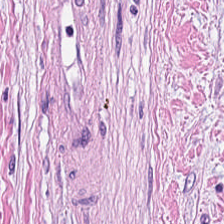H&E. Predominant tissue = tumor stroma.
